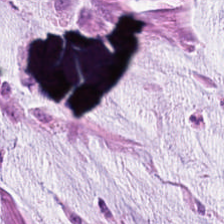Hematoxylin and eosin.
Classification: mucus.
